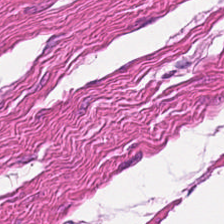The tissue here is muscularis.
